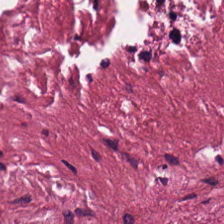Brightfield. H&E stain. The predominant tissue is cancer-associated stroma.
